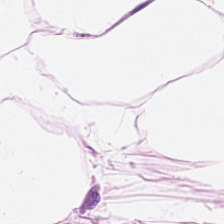FFPE; H&E — This field is fat tissue.
